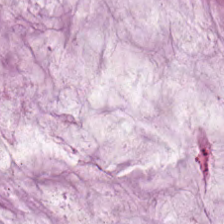This patch shows extracellular mucin.
